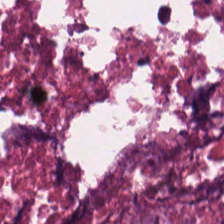Classification = debris.
